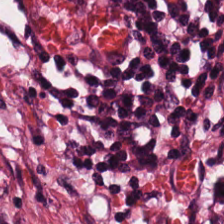Brightfield microscopy · hematoxylin and eosin · 0.5 µm/px.
Tissue class = tumor stroma.
